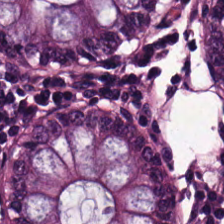This field is normal colon mucosa.
